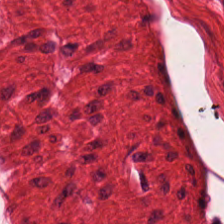H&E · 0.5 µm per pixel · FFPE.
Q: Classify this patch.
A: Smooth muscle.
